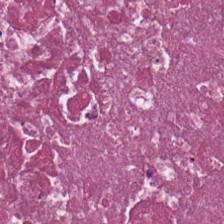Hematoxylin and eosin — The predominant tissue is necrotic debris.
